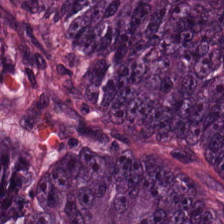{"tissue_type": "malignant epithelium"}
